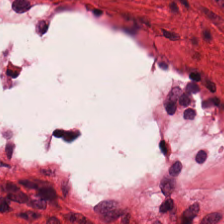FFPE tissue section; H&E. This field is muscularis.
